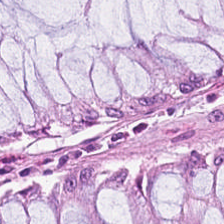The tissue here is normal colon mucosa.
